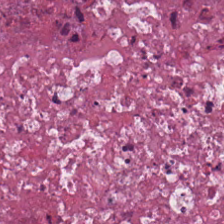0.5 µm/px; hematoxylin and eosin — Predominantly debris.
